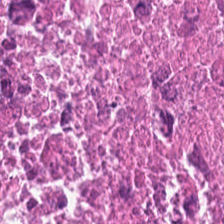Q: Classify this patch.
A: The field shows necrotic debris.
